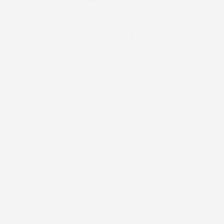Hematoxylin and eosin.
Impression — no tissue.
